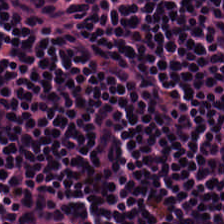Formalin-fixed paraffin-embedded section · H&E stain · WSI patch.
The predominant tissue is lymphoid infiltrate.
